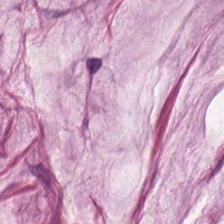H&E — Q: What tissue is shown?
A: This is mucus.
